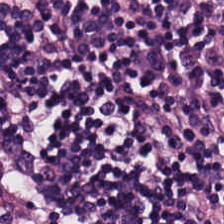H&E. This field is lymphocyte aggregate.
